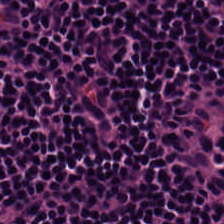Whole-slide-image patch; H&E-stained tissue section — Classification — lymphoid infiltrate.
